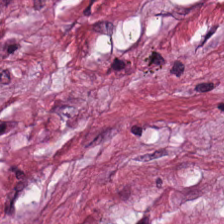H&E; 224×224 px tile; 0.5 µm per pixel — Showing cancer-associated stroma.
